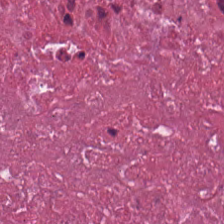Impression — debris.
